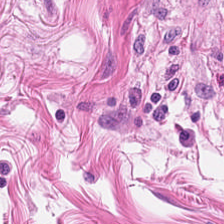Brightfield · hematoxylin-and-eosin stained section. {"tissue_type": "smooth muscle"}
